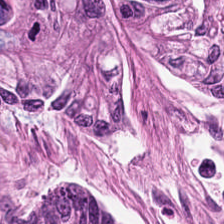H&E-stained tissue section; 0.5 µm per pixel; 224×224 px patch — Q: Classify this patch.
A: It is colorectal adenocarcinoma epithelium.
